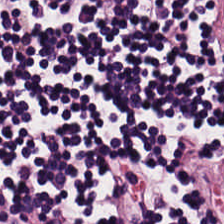Hematoxylin-and-eosin stained section. Q: Classify this patch.
A: It is lymphoid infiltrate.
